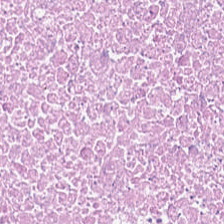Histology → debris.
